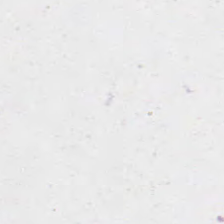Stain: H&E-stained tissue section.
Content: no tissue.
